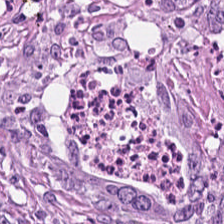H&E-stained tissue section — {"tissue_type": "tumor-associated stroma"}
